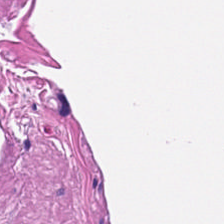Hematoxylin-and-eosin stained section. Classification — smooth muscle.
